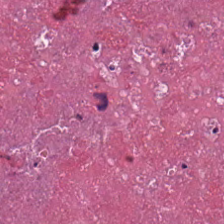Hematoxylin-and-eosin stained section. 0.5 µm per pixel — Tissue type: necrotic debris.
